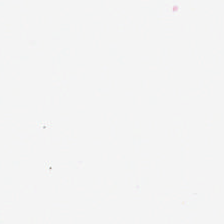0.5 microns per pixel. Hematoxylin and eosin. Formalin-fixed paraffin-embedded section — The field content is background.
